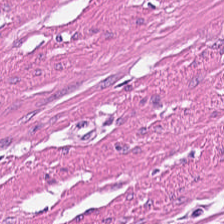Stain: hematoxylin-and-eosin stained section.
Classification: smooth muscle.
